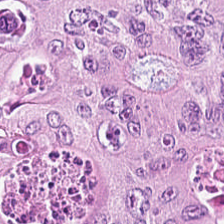Brightfield microscopy. H&E-stained tissue section. Q: What is shown in this field?
A: Colorectal adenocarcinoma.
